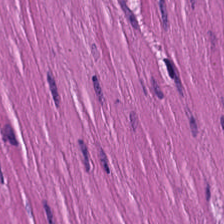Histology — smooth muscle.
